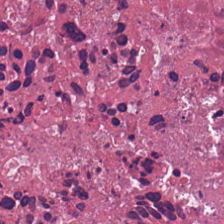Classification = debris.
